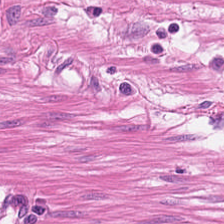H&E stain. 224×224 px patch.
Predominantly smooth-muscle tissue.
